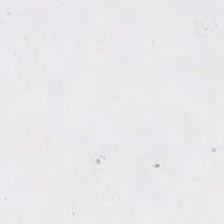H&E-stained tissue section. No tissue present; background only.
